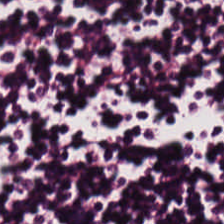Predominantly lymphocytic infiltrate.
